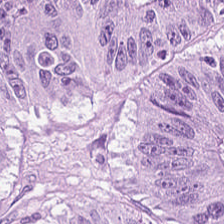H&E — This patch shows colorectal adenocarcinoma epithelium.
